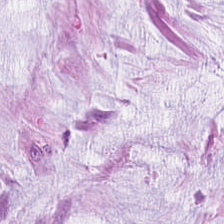224×224 px patch · H&E-stained tissue section.
The predominant tissue is extracellular mucin.
